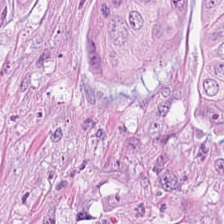H&E stain. Tissue type — colorectal adenocarcinoma epithelium.
